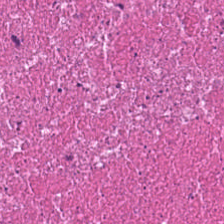Stain: H&E.
Classification: debris.
